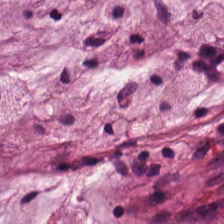Whole-slide-image patch. H&E. Q: Identify the tissue.
A: Mucin.
